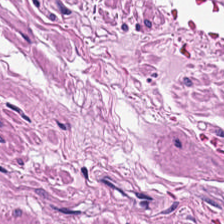Stain: H&E stain.
Tissue type: muscularis.
